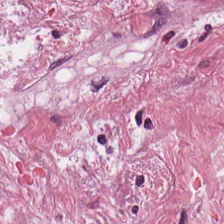Hematoxylin-and-eosin stained section.
Showing desmoplastic stroma.
